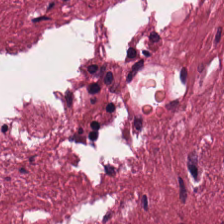Tissue class: desmoplastic stroma.
